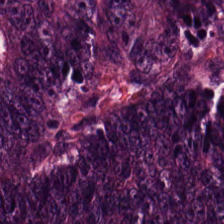0.5 microns per pixel. H&E stain. Tissue class: colorectal adenocarcinoma.
